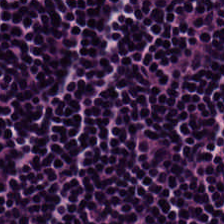Hematoxylin-and-eosin section: lymphocytes.
